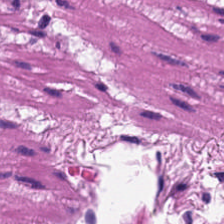Stain: H&E.
Tissue type: muscularis.
